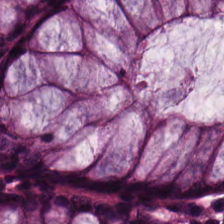Stain: hematoxylin-and-eosin stained section.
Preparation: FFPE tissue section.
Resolution: 20× equivalent magnification.
Tissue type: normal colon mucosa.
